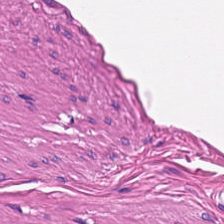Q: What is the predominant tissue type?
A: This is muscularis.
